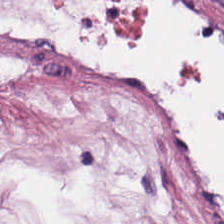{"tissue_type": "fat tissue"}
